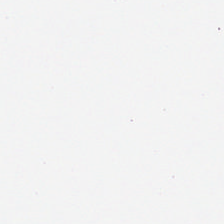Hematoxylin and eosin; brightfield microscopy. Background — no tissue in this field.
